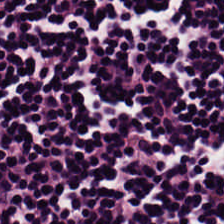Stain: hematoxylin and eosin.
Tissue class: lymphocytes.
